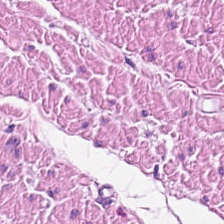224×224 px patch · hematoxylin-and-eosin stained section. Tissue class: smooth muscle.
